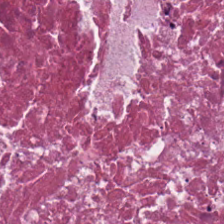This field is necrotic debris.
